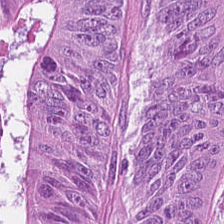20× equivalent magnification · 224×224 pixel tile · H&E. Showing colorectal adenocarcinoma epithelium.
